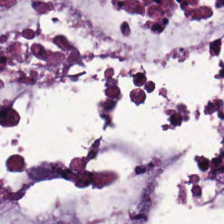Hematoxylin-and-eosin stained section; 224×224 pixel tile — Showing extracellular mucin.
